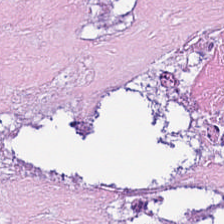H&E-stained tissue section.
Predominantly necrotic debris.
